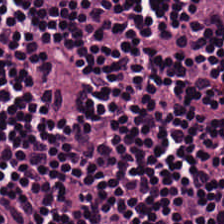Hematoxylin and eosin · 0.5 µm per pixel · brightfield.
{"tissue_type": "lymphoid infiltrate"}
